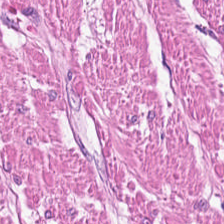Tissue class — smooth-muscle tissue.
